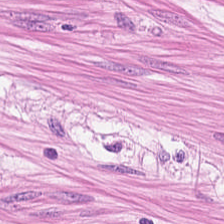Formalin-fixed paraffin-embedded section. H&E-stained tissue section. Whole-slide-image patch.
The tissue here is muscularis.
